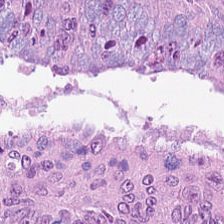H&E stain.
The tissue here is adenocarcinoma.
